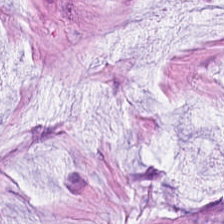H&E-stained tissue section · 224×224 px patch. The tissue here is mucin.
